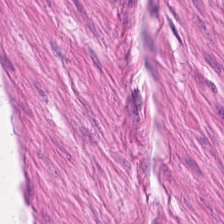Hematoxylin-and-eosin stained section; whole-slide-image patch — Q: What tissue is shown?
A: This is muscularis.
